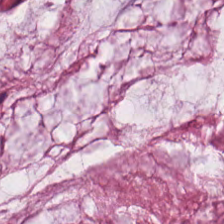Hematoxylin-and-eosin stained section.
Predominant tissue = mucus.
